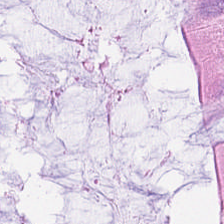H&E stain — Classification = normal colonic mucosa.
